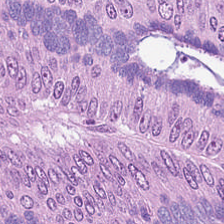H&E-stained section; the field shows colorectal adenocarcinoma.
